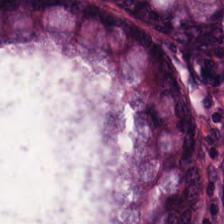H&E stain. Brightfield microscopy.
Tissue class — normal colon mucosa.
